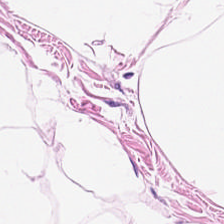Adipose.
